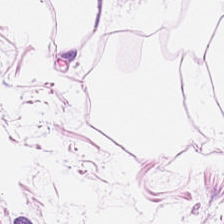FFPE. H&E stain — {"tissue_type": "fat tissue"}
